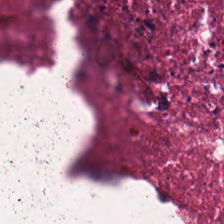Predominantly debris.
